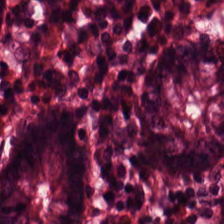Stain: hematoxylin-and-eosin stained section.
Classification: normal colon mucosa.
